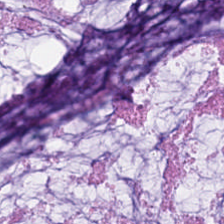Hematoxylin and eosin; brightfield; FFPE tissue section.
Showing mucus.
